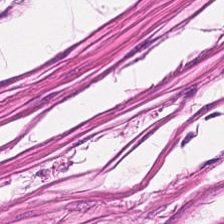Stain: hematoxylin-and-eosin stained section.
Tissue class: smooth muscle.
